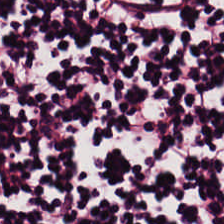H&E-stained tissue section. The predominant tissue is lymphocyte aggregate.
